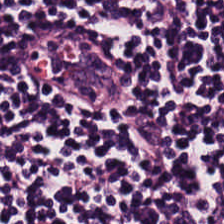H&E — The predominant tissue is lymphocytic infiltrate.
